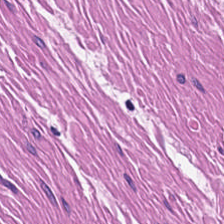H&E-stained tissue section — The tissue here is muscularis.
